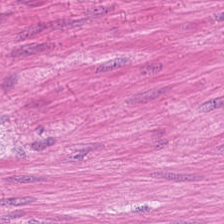Hematoxylin and eosin; FFPE.
Histology → muscularis.
